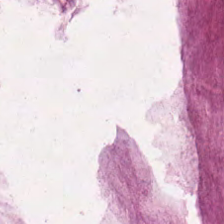Predominantly mucin.
